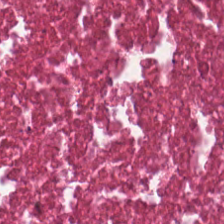224×224 pixel tile; H&E-stained tissue section; 0.5 µm/px.
This field is necrotic debris.
